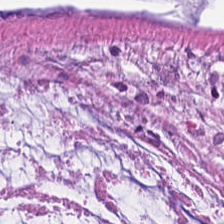H&E-stained tissue section.
Tissue = mucin.
